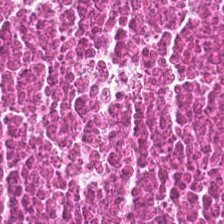Hematoxylin and eosin — {"tissue_type": "debris"}
